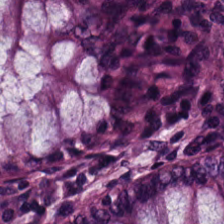20× equivalent magnification; 224×224 px tile; H&E stain. Q: What does this patch show?
A: This is normal colon mucosa.
